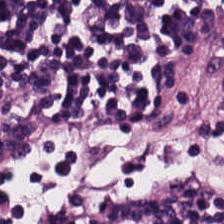Hematoxylin and eosin.
Tissue = lymphocytic infiltrate.
